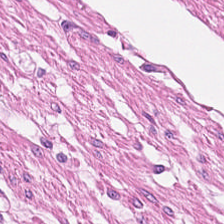224×224 pixel tile. Hematoxylin-and-eosin stained section.
Finding → smooth-muscle tissue.
